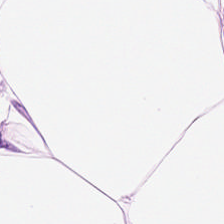Q: Identify the tissue.
A: The field shows adipocytes.
